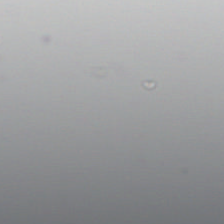Q: What is shown here?
A: This is no tissue.
